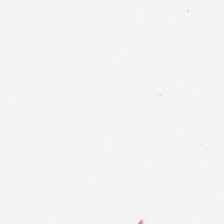Hematoxylin and eosin. Impression → no tissue.
